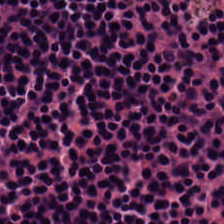Histology → lymphocytes.
